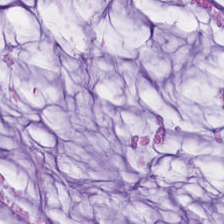Q: Classify this patch.
A: This is mucus.
